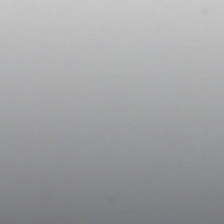H&E stain. Brightfield. Classification — background (no tissue).
